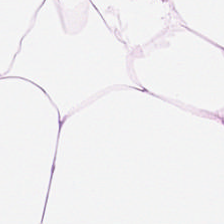Stain: H&E-stained tissue section.
Tissue class: adipose.
